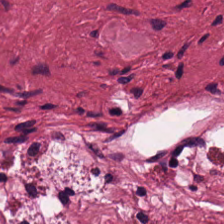H&E stain. 224×224 pixel tile. Brightfield.
Q: What is shown here?
A: Desmoplastic stroma.
